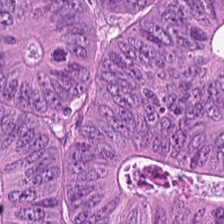Hematoxylin and eosin. {"tissue_type": "adenocarcinoma"}
